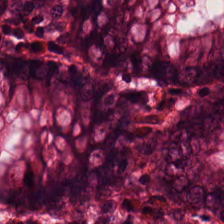Tissue = benign colonic mucosa.
